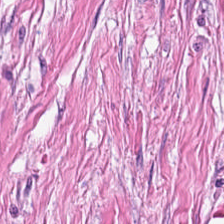Hematoxylin-and-eosin stained section.
Tissue class — cancer-associated stroma.
